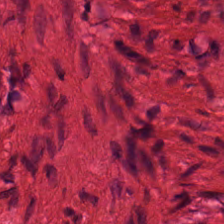H&E-stained tissue section — This patch shows smooth-muscle tissue.
